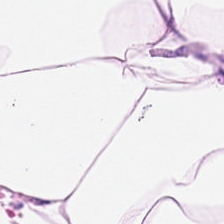Predominant tissue: adipose tissue.
